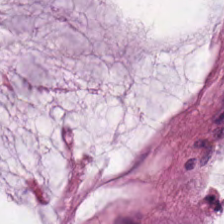224×224 pixel tile; hematoxylin and eosin. Predominant tissue — mucin.
